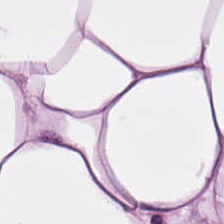Tissue class — fat tissue.
